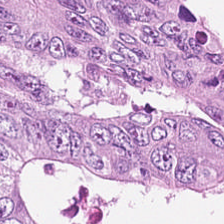H&E stain — Impression — colorectal adenocarcinoma.
